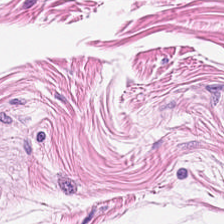H&E-stained tissue section.
Tissue = muscularis.
